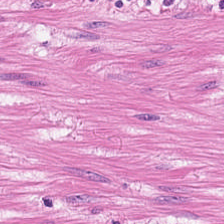Finding — smooth-muscle tissue.
